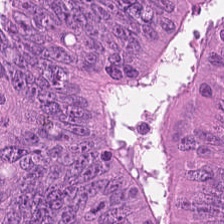The predominant tissue is tumor epithelium.
